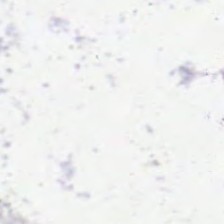FFPE. Hematoxylin and eosin. 224×224 px patch — Background — no tissue in this field.
